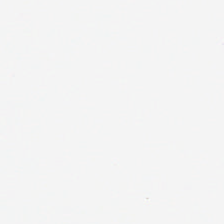WSI patch · H&E stain · 20× equivalent magnification — Q: What does this patch show?
A: It is background.
